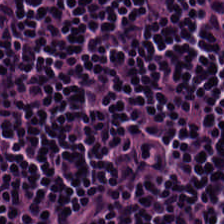Hematoxylin and eosin — The predominant tissue is lymphocytic infiltrate.
